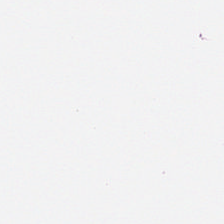Whole-slide-image patch · hematoxylin-and-eosin stained section · 224×224 pixel tile — Background — no tissue in this field.
